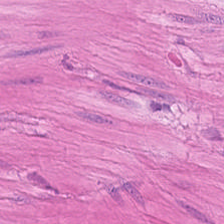Hematoxylin-and-eosin stained section; whole-slide-image patch.
Predominantly smooth muscle.
